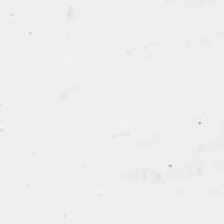{"content": "background (no tissue)"}
